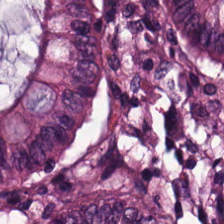Stain: H&E-stained tissue section.
Tile size: 224×224 px tile.
Predominant tissue: normal colonic mucosa.
